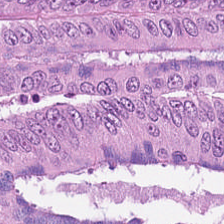H&E — Impression → adenocarcinoma.
